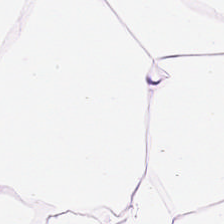Hematoxylin-and-eosin stained section — Q: Identify the tissue.
A: Adipocytes.
